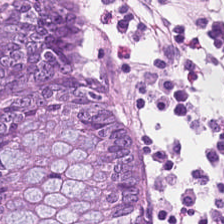Impression → normal colonic mucosa.
